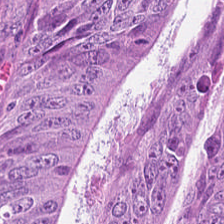H&E-stained tissue section. Predominant tissue — adenocarcinoma.
